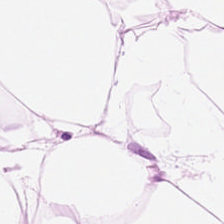{"tissue_type": "adipocytes"}
